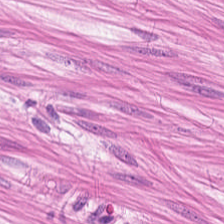H&E — smooth muscle.
